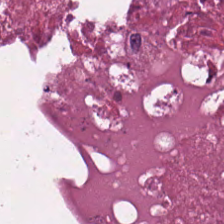H&E-stained tissue section — The predominant tissue is cellular debris.
